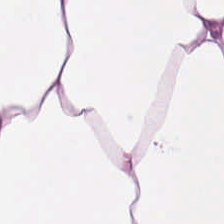Histology — adipose tissue.
